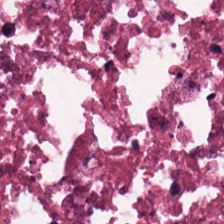Q: What type of tissue is this?
A: Debris.
